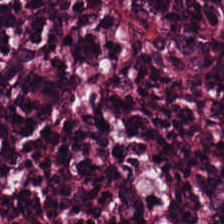Stain: hematoxylin-and-eosin stained section.
Tissue type: lymphoid infiltrate.
